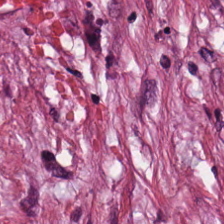H&E. Impression → desmoplastic stroma.
